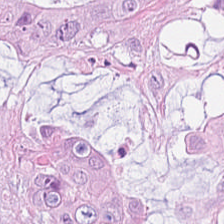H&E — Tissue = colorectal adenocarcinoma.
